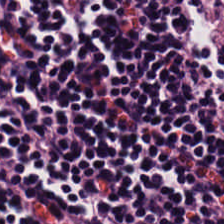Whole-slide-image patch. H&E stain. Predominantly lymphocytes.
